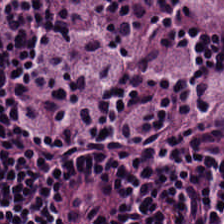H&E stain · formalin-fixed paraffin-embedded section.
Tissue: lymphocytes.
